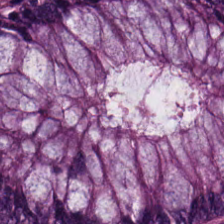FFPE. 224×224 px tile. Hematoxylin-and-eosin stained section. The predominant tissue is benign colonic mucosa.
